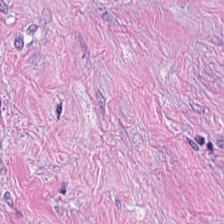Q: What does this patch show?
A: This is desmoplastic stroma.
